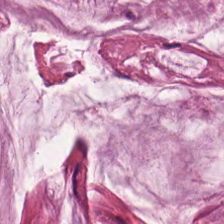H&E-stained tissue section; 224×224 px tile.
Tissue type: mucin.
